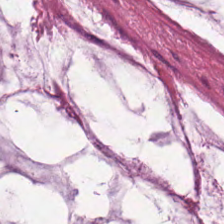224×224 px tile. H&E. Mucus.
